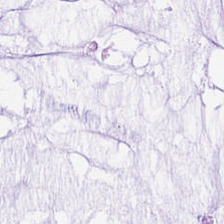Stain: H&E-stained tissue section.
Preparation: FFPE.
Classification: extracellular mucin.
